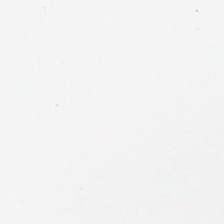0.5 µm/px · H&E-stained tissue section. Q: Classify this patch.
A: Background (no tissue).
